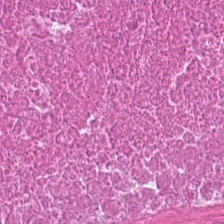H&E. Histology → cellular debris.
